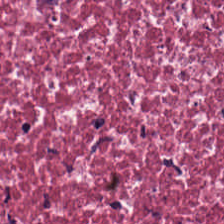Brightfield microscopy. 224×224 pixel tile. Hematoxylin and eosin. The predominant tissue is cancer-associated stroma.
